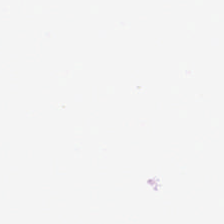Q: What does this patch show?
A: It is background.
